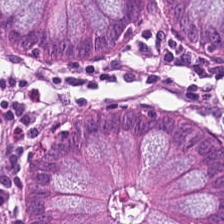H&E. Formalin-fixed paraffin-embedded section. The tissue type is normal colonic mucosa.
